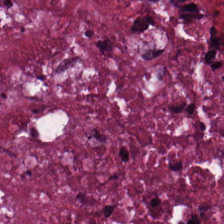H&E · formalin-fixed paraffin-embedded section — The tissue here is debris.
